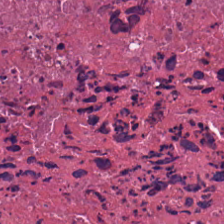Predominant tissue = necrotic debris.
